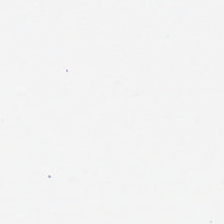Background — no tissue in this field.
